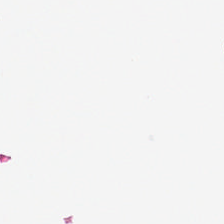H&E stain — The classification is empty background.
